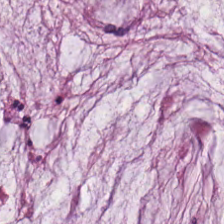0.5 µm per pixel. H&E stain — Q: What tissue type is shown here?
A: It is mucus.
